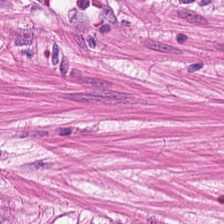Hematoxylin and eosin — Predominantly muscularis.
